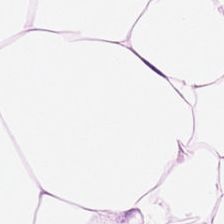Predominant tissue — adipose.
